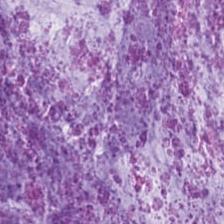Histology → mucus.
